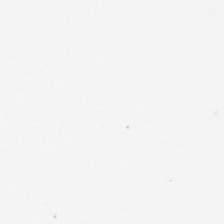Content = empty background.
